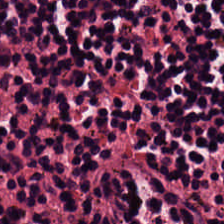H&E-stained tissue section.
Impression → lymphoid infiltrate.
